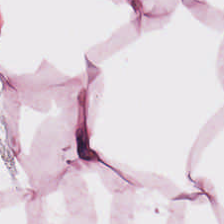H&E — This field is fat tissue.
